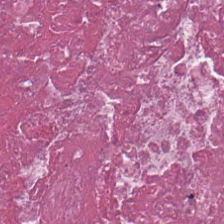WSI patch · H&E. Q: What is shown in this field?
A: The field shows cellular debris.
